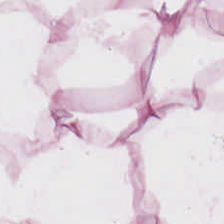H&E-stained section; the field shows adipose.
